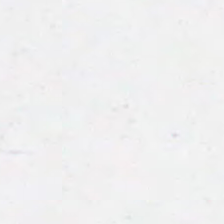Hematoxylin-and-eosin stained section · FFPE. Content = background (no tissue).
